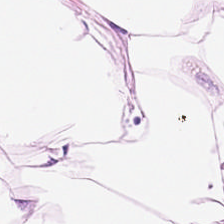224×224 pixel tile. Hematoxylin and eosin — This patch shows fat tissue.
